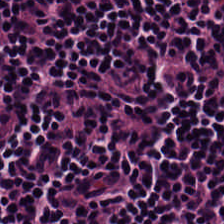Predominant tissue — lymphoid infiltrate.
